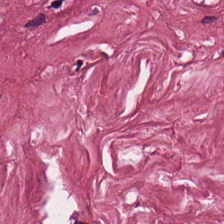H&E-stained tissue section.
{"tissue_type": "cancer-associated stroma"}
